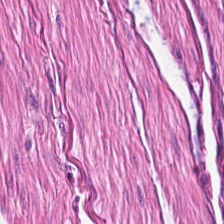H&E stain. The tissue here is muscularis.
